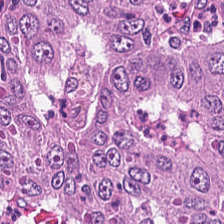Hematoxylin and eosin; brightfield. Impression — colorectal adenocarcinoma epithelium.
